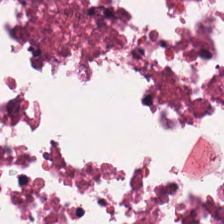0.5 µm per pixel · hematoxylin-and-eosin stained section. The tissue here is cellular debris.
